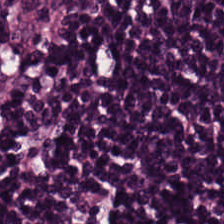H&E-stained tissue section; FFPE tissue section; 0.5 µm/px — The tissue is lymphocytes.
